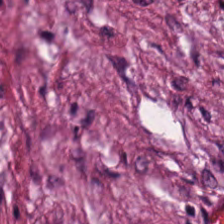The predominant tissue is desmoplastic stroma.
